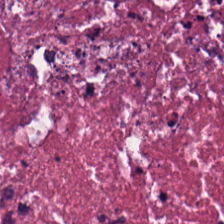H&E; FFPE tissue section — Tissue class — debris.
